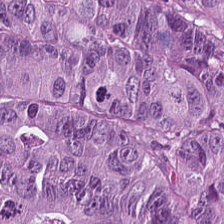H&E-stained section; the field shows tumor epithelium.
